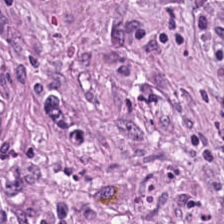H&E stain. The predominant tissue is tumor-associated stroma.
